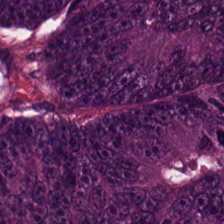224×224 px tile. Brightfield. H&E.
Tumor epithelium.
